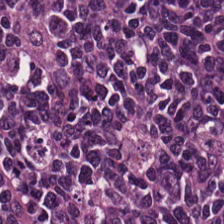Tissue — lymphocyte aggregate.
